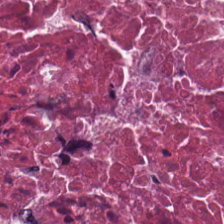Hematoxylin-and-eosin stained section.
Q: What type of tissue is this?
A: The field shows debris.
